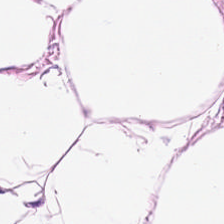Q: What tissue is shown?
A: It is adipocytes.
